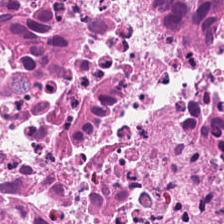H&E.
{"tissue_type": "debris"}
